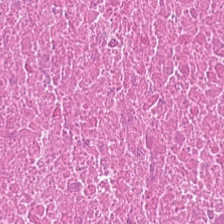H&E stain. Finding — debris.
